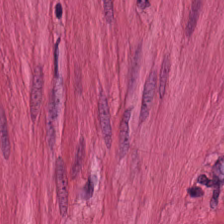H&E stain; 20× equivalent magnification; formalin-fixed paraffin-embedded section. This field is muscularis.
